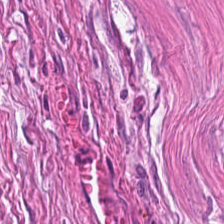{"tissue_type": "smooth-muscle tissue"}
